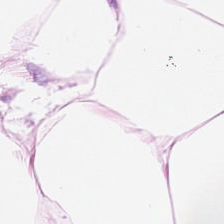0.5 µm/px · H&E. Showing adipose.
